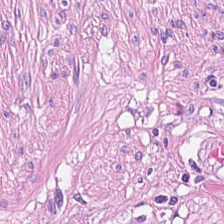224×224 px patch; hematoxylin and eosin; formalin-fixed paraffin-embedded section — This patch shows smooth-muscle tissue.
